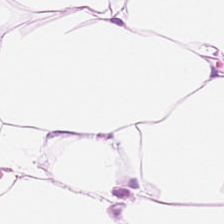Showing fat tissue.
